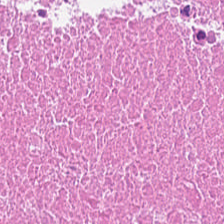H&E. Brightfield — This patch shows necrotic debris.
